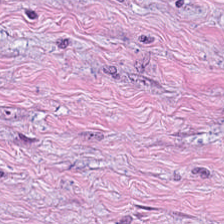Tissue class: tumor stroma.
